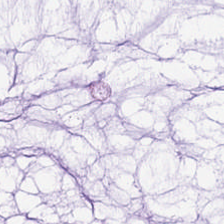H&E stain.
Tissue class: extracellular mucin.
